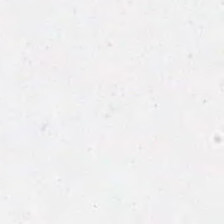224×224 px tile; H&E-stained tissue section; 20× equivalent magnification. The content is background.
